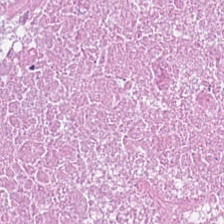Hematoxylin-and-eosin section: debris.
